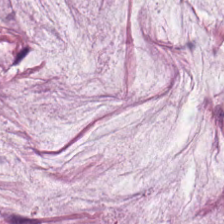WSI patch. H&E. Q: What type of tissue is this?
A: Mucin.
